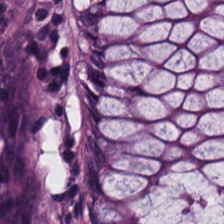H&E patch showing non-neoplastic colon mucosa.
